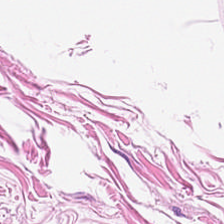H&E — fat tissue.
